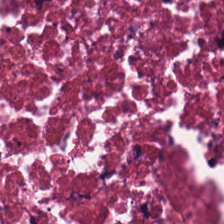0.5 µm per pixel; brightfield microscopy; hematoxylin-and-eosin stained section. The tissue type is cellular debris.
